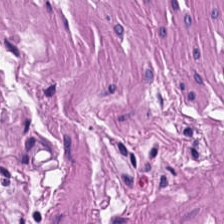Formalin-fixed paraffin-embedded section · H&E · brightfield microscopy.
{"tissue_type": "smooth muscle"}
